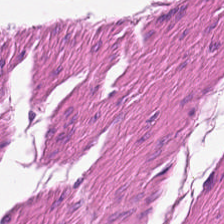H&E. Tissue class = muscularis.
